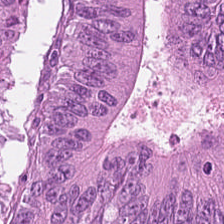Hematoxylin-and-eosin stained section — This patch shows colorectal adenocarcinoma epithelium.
